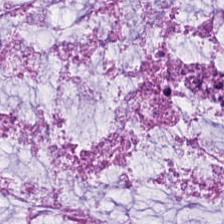WSI patch · 0.5 microns per pixel · H&E stain. Tissue type — extracellular mucin.
